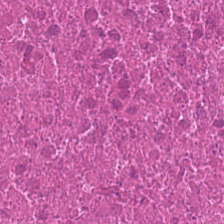H&E stain. The predominant tissue is debris.
